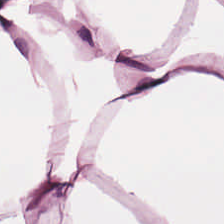FFPE tissue section · hematoxylin and eosin.
Impression → adipocytes.
